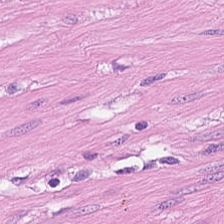H&E stain — Tissue type: smooth muscle.
